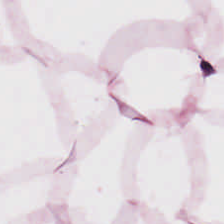H&E-stained tissue section. 224×224 pixel tile. Brightfield. {"tissue_type": "adipose tissue"}
